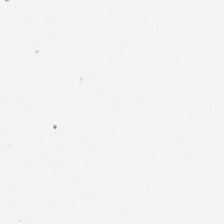224×224 pixel tile. Hematoxylin and eosin. Classification = no tissue.
